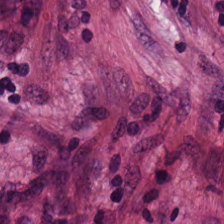H&E; 224×224 px tile — Impression → tumor stroma.
